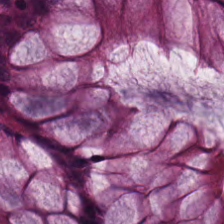H&E stain; 0.5 µm per pixel; brightfield microscopy.
The tissue is non-neoplastic colon mucosa.
